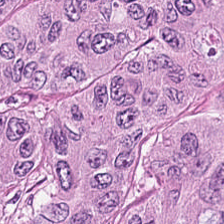0.5 µm per pixel · hematoxylin and eosin. Q: What is shown here?
A: This is colorectal adenocarcinoma epithelium.
